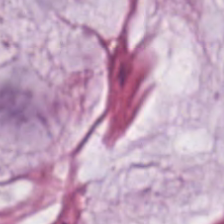Stain: hematoxylin and eosin.
Tissue type: mucus.
